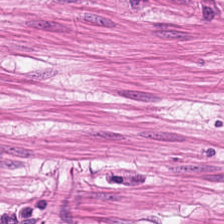224×224 px patch; H&E. Predominant tissue — smooth muscle.
